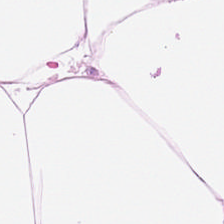Hematoxylin and eosin — The tissue here is adipose.
